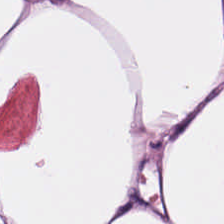Histology → adipose tissue.
